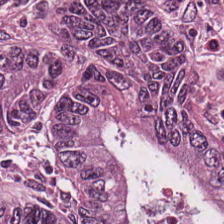Hematoxylin and eosin; 224×224 px patch. This field is adenocarcinoma.
